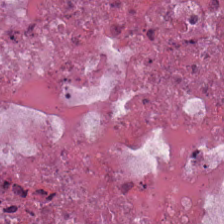FFPE; WSI patch; H&E-stained tissue section — Predominantly debris.
